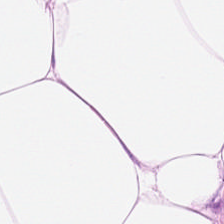H&E stain · 0.5 µm/px — Adipose.
